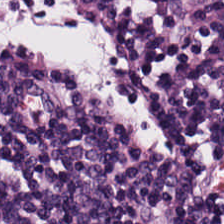FFPE. H&E stain. Brightfield. Q: What does this patch show?
A: It is lymphocyte aggregate.
